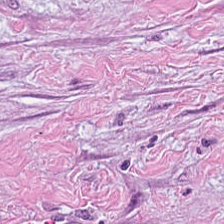H&E stain. Q: What type of tissue is this?
A: The field shows tumor stroma.
